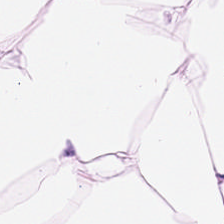Brightfield microscopy · H&E — This field is fat tissue.
